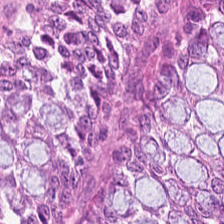Q: What tissue is shown?
A: The field shows non-neoplastic colon mucosa.
